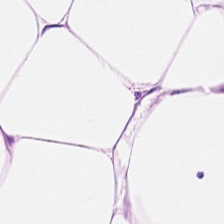Hematoxylin-and-eosin stained section — This patch shows adipocytes.
